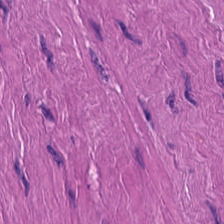Q: What is the predominant tissue type?
A: It is smooth-muscle tissue.
